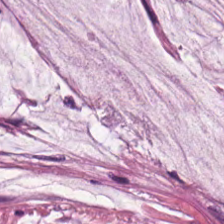Tissue type — extracellular mucin.
